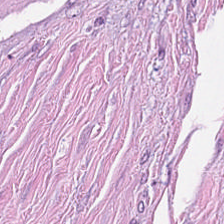H&E stain. FFPE — Tissue — cancer-associated stroma.
